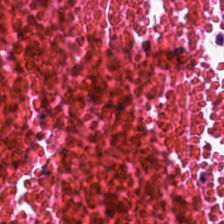H&E · 224×224 px patch · 20× equivalent magnification. Q: What is shown in this field?
A: It is debris.
